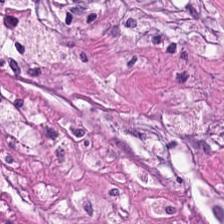H&E. FFPE. Brightfield microscopy. The tissue here is necrotic debris.
